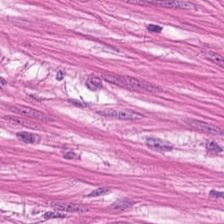Hematoxylin and eosin.
Predominant tissue — muscularis.
